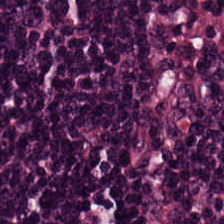Formalin-fixed paraffin-embedded section; H&E stain — Tissue — lymphocyte aggregate.
